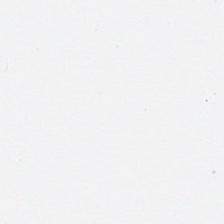No tissue present; background only.
